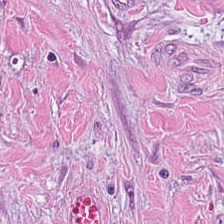Tissue — tumor-associated stroma.
